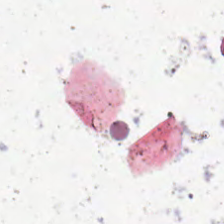This field is background (no tissue).
